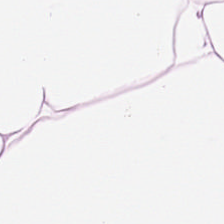Hematoxylin and eosin; FFPE — This patch shows adipose tissue.
